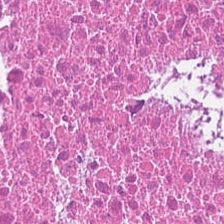H&E.
Finding → debris.
